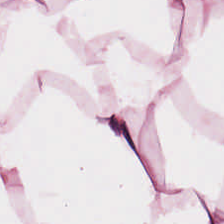Hematoxylin-and-eosin stained section. Tissue type: adipocytes.
